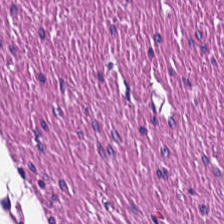Smooth muscle.
